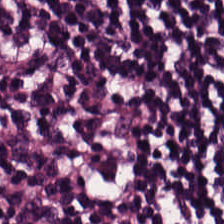{"tissue_type": "lymphocyte aggregate"}
